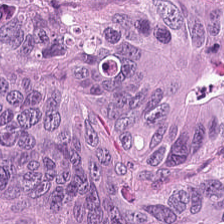Predominant tissue = malignant epithelium.
